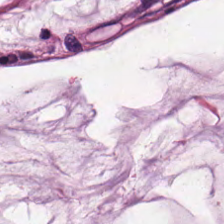Q: What does this patch show?
A: It is mucin.
